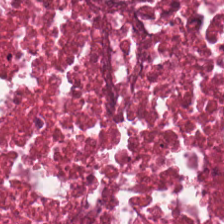Hematoxylin and eosin.
The tissue here is debris.
